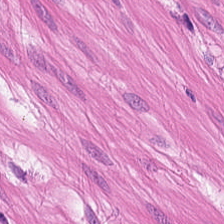Stain: H&E-stained tissue section.
Tissue: smooth muscle.
